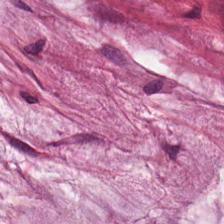Stain: H&E.
Tissue class: extracellular mucin.
